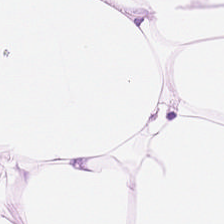224×224 pixel tile · H&E-stained tissue section. Q: What is the predominant tissue type?
A: It is adipose.
